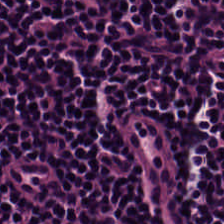H&E stain · brightfield · FFPE. The tissue is lymphocyte aggregate.
